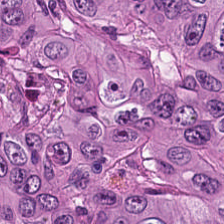Hematoxylin-and-eosin stained section — The tissue is colorectal adenocarcinoma.
